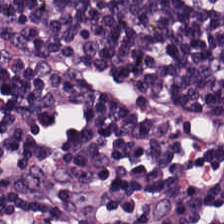Hematoxylin and eosin.
The predominant tissue is lymphocytic infiltrate.
